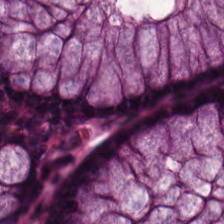Hematoxylin-and-eosin stained section; formalin-fixed paraffin-embedded section — Predominant tissue — non-neoplastic colon mucosa.
